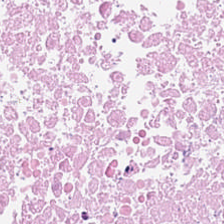H&E — Predominantly cellular debris.
